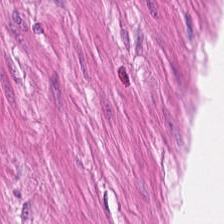Hematoxylin-and-eosin stained section. This patch shows smooth-muscle tissue.
